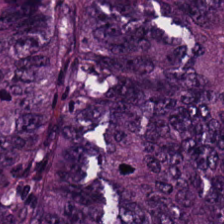Formalin-fixed paraffin-embedded section · H&E stain · 224×224 pixel tile. Predominant tissue — malignant epithelium.
